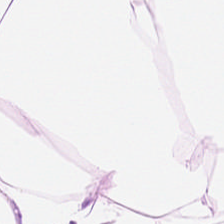H&E-stained tissue section; brightfield microscopy; 20× equivalent magnification. The predominant tissue is adipocytes.
